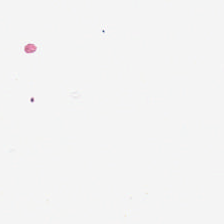H&E stain.
Q: What is shown here?
A: The field shows empty background.
